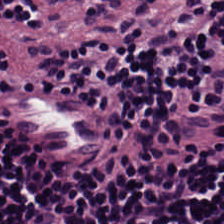Hematoxylin-and-eosin stained section — Lymphoid infiltrate.
